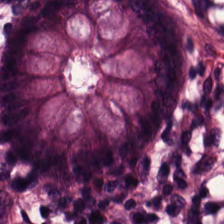H&E stain. This field is non-neoplastic colon mucosa.
